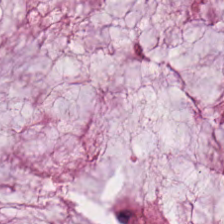Hematoxylin-and-eosin stained section — Q: What tissue is shown?
A: The field shows extracellular mucin.
